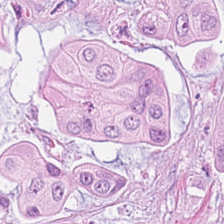Hematoxylin-and-eosin stained section. The tissue here is colorectal adenocarcinoma epithelium.
